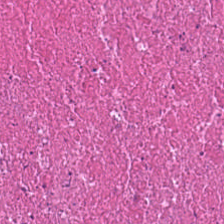20× equivalent magnification. Hematoxylin and eosin.
Classification = cellular debris.
